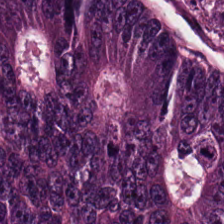Hematoxylin and eosin. Classification — adenocarcinoma.
